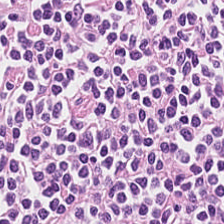Hematoxylin and eosin; 224×224 pixel tile — Tissue class = lymphocyte aggregate.
